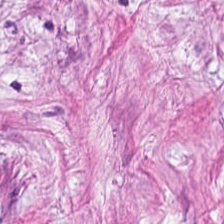FFPE · H&E stain.
The tissue here is tumor-associated stroma.
